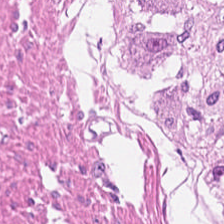The tissue here is muscularis.
